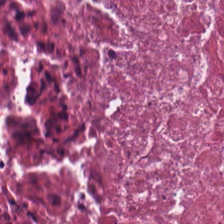WSI patch · 20× equivalent magnification · H&E-stained tissue section.
{"tissue_type": "debris"}
